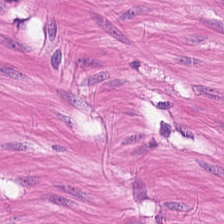0.5 microns per pixel · H&E-stained tissue section. Finding — smooth-muscle tissue.
